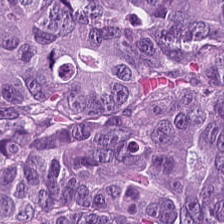Q: What type of tissue is this?
A: This is tumor epithelium.
